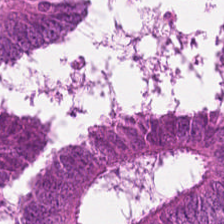Q: Identify the tissue.
A: This is adenocarcinoma.
